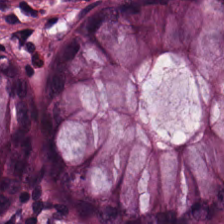H&E.
Finding → non-neoplastic colon mucosa.
